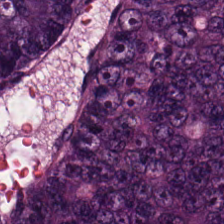H&E stain · WSI patch · 224×224 px tile.
The tissue class is adenocarcinoma.
